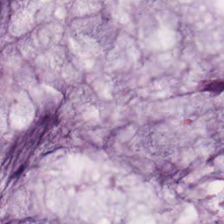H&E; 0.5 µm/px.
Extracellular mucin.
